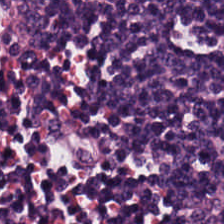Tissue class — lymphocytic infiltrate.
